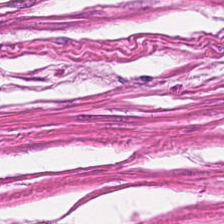Predominantly smooth muscle.
